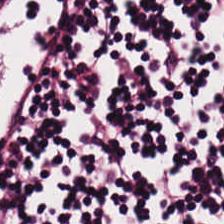H&E · 224×224 px patch — Tissue class = lymphoid infiltrate.
